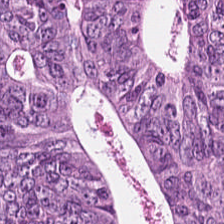H&E stain.
The tissue here is colorectal adenocarcinoma epithelium.
